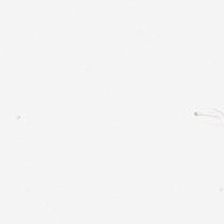H&E — Q: What does this patch show?
A: The field shows background.
